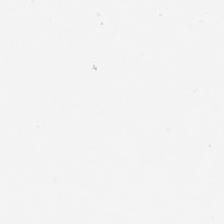Stain: hematoxylin-and-eosin stained section.
Field content: no tissue.
